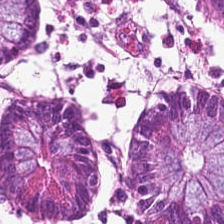Brightfield; 0.5 microns per pixel; hematoxylin and eosin — Showing benign colonic mucosa.
